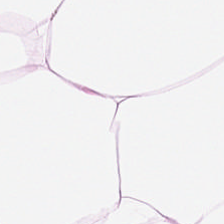Q: What is the predominant tissue type?
A: Adipose.
